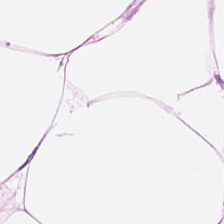Tissue class: adipose.
